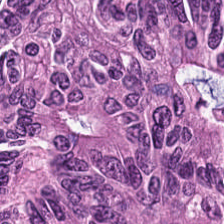Stain: hematoxylin-and-eosin stained section.
Preparation: formalin-fixed paraffin-embedded section.
Acquisition: WSI patch.
Classification: colorectal adenocarcinoma.
